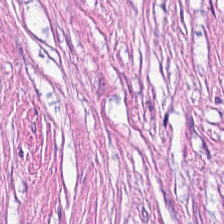The tissue here is desmoplastic stroma.
